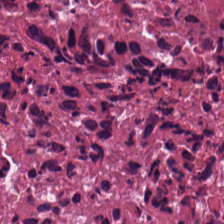Stain: H&E.
Classification: cellular debris.
